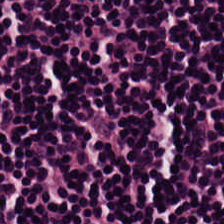Stain: hematoxylin and eosin.
Predominant tissue: lymphocytes.
